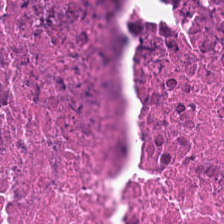Q: What type of tissue is this?
A: This is debris.
